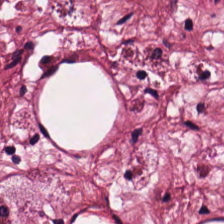WSI patch. 224×224 pixel tile. H&E.
This patch shows tumor stroma.
